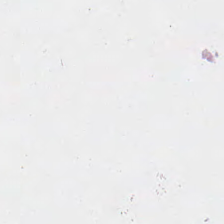Brightfield microscopy; H&E. This patch shows background.
